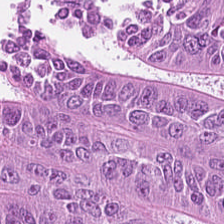Stain: hematoxylin-and-eosin stained section.
Tissue type: colorectal adenocarcinoma epithelium.
